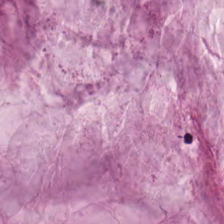Whole-slide-image patch; hematoxylin-and-eosin stained section.
Tissue class — extracellular mucin.
